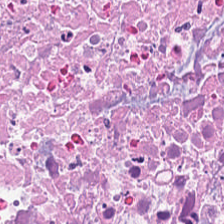H&E.
Predominantly necrotic debris.
